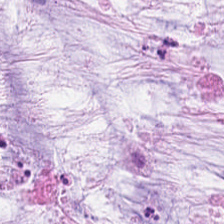WSI patch · 224×224 px patch · H&E stain.
This field is mucin.
